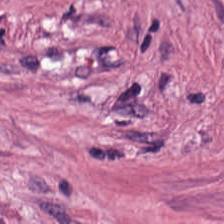Whole-slide-image patch; H&E-stained tissue section — The predominant tissue is cancer-associated stroma.
